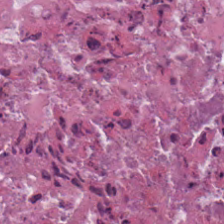Stain: H&E-stained tissue section.
Tissue class: debris.
